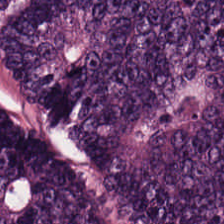Hematoxylin and eosin — Showing colorectal adenocarcinoma.
